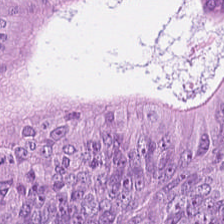Hematoxylin-and-eosin stained section.
{"tissue_type": "malignant epithelium"}
